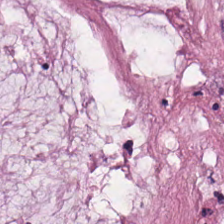{"tissue_type": "mucin"}
